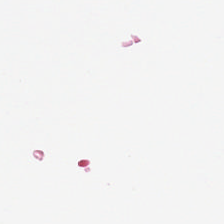Q: What is shown here?
A: Background.
